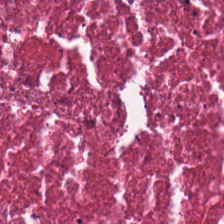Hematoxylin and eosin — Tissue = necrotic debris.
